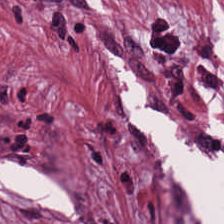Stain: hematoxylin-and-eosin stained section.
Tissue class: tumor-associated stroma.
